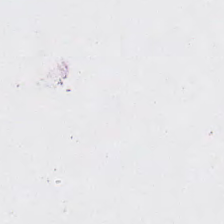H&E-stained tissue section. FFPE tissue section.
Empty field — background (no tissue).
